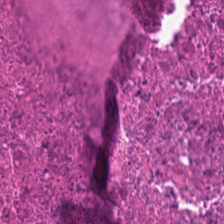H&E-stained tissue section · 224×224 pixel tile — Histology → necrotic debris.
